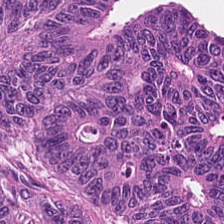Formalin-fixed paraffin-embedded section · WSI patch · H&E stain — Showing adenocarcinoma.
